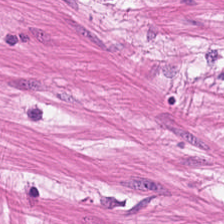Showing smooth-muscle tissue.
